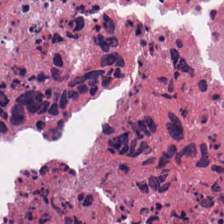Hematoxylin and eosin. Impression — cellular debris.
